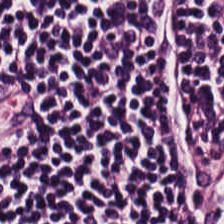H&E-stained tissue section.
Tissue class = lymphocytic infiltrate.
